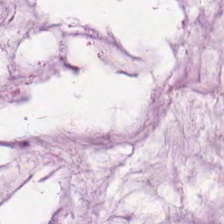Hematoxylin and eosin.
Showing extracellular mucin.
